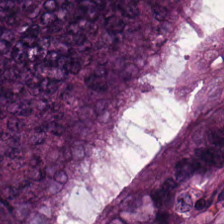20× equivalent magnification; 224×224 pixel tile; hematoxylin and eosin — This field is tumor epithelium.
